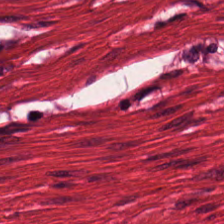FFPE tissue section · H&E stain. This patch shows smooth-muscle tissue.
